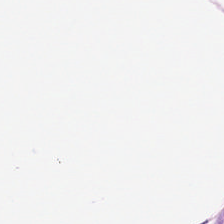Hematoxylin and eosin; 224×224 px tile — Impression → adipose tissue.
